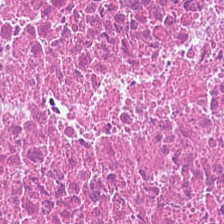Hematoxylin and eosin; 0.5 µm/px. Showing cellular debris.
